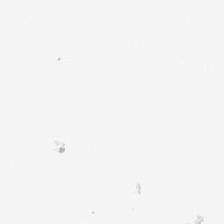Hematoxylin-and-eosin stained section. No tissue present; background only.
